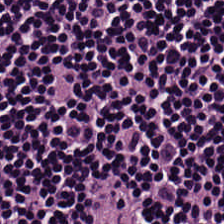Hematoxylin-and-eosin stained section — The tissue here is lymphocytic infiltrate.
